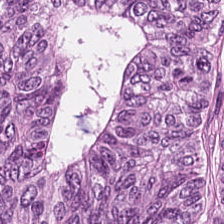0.5 µm per pixel; hematoxylin-and-eosin stained section — This field is colorectal adenocarcinoma epithelium.
